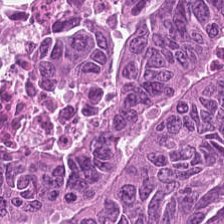H&E-stained tissue section. FFPE tissue section — Classification: tumor epithelium.
